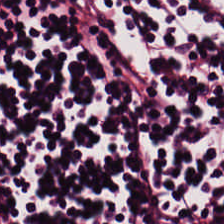Lymphocytic infiltrate.
